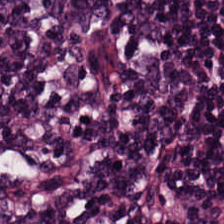H&E.
This patch shows lymphoid infiltrate.
